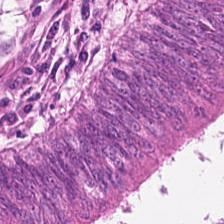Hematoxylin-and-eosin stained section.
Q: Identify the tissue.
A: The field shows adenocarcinoma.
